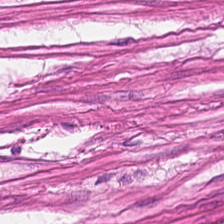H&E stain.
The tissue here is muscularis.
